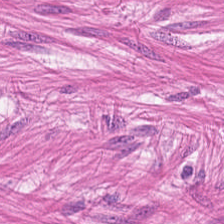Hematoxylin-and-eosin stained section; FFPE.
Finding — smooth-muscle tissue.
